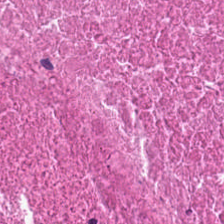This field is necrotic debris.
